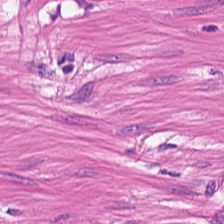Hematoxylin and eosin; brightfield microscopy.
Q: What is the predominant tissue type?
A: The field shows muscularis.
